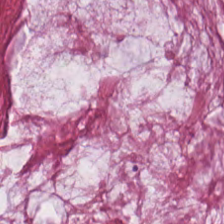FFPE; H&E stain; 224×224 pixel tile.
Q: What does this patch show?
A: It is extracellular mucin.
